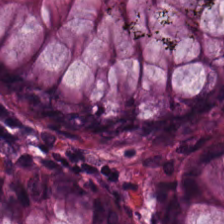H&E stain; 0.5 µm per pixel. Q: What tissue type is shown here?
A: The field shows benign colonic mucosa.
